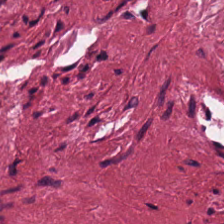Showing desmoplastic stroma.
